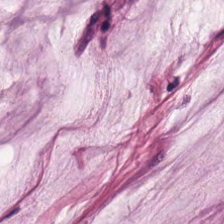Stain: H&E.
Tissue class: mucus.
